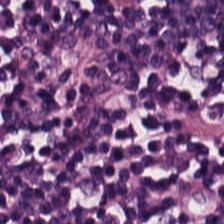20× equivalent magnification · hematoxylin and eosin. Q: What tissue type is shown here?
A: The field shows lymphoid infiltrate.
